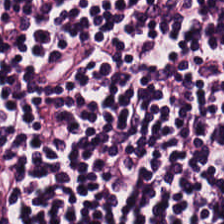Q: What tissue type is shown here?
A: Lymphocyte aggregate.
